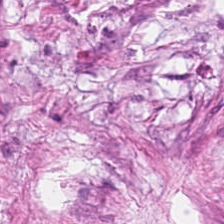Hematoxylin-and-eosin stained section; 0.5 µm/px; brightfield — {"tissue_type": "cancer-associated stroma"}
